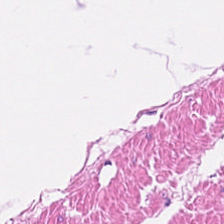Hematoxylin and eosin; 224×224 pixel tile.
Showing muscularis.
